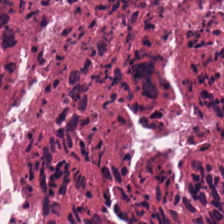H&E-stained tissue section. 224×224 px tile. 0.5 µm per pixel. Histology — debris.
